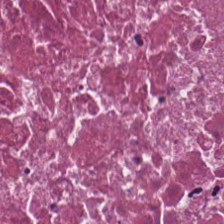Hematoxylin-and-eosin stained section. This patch shows debris.
